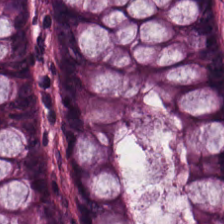FFPE; H&E-stained tissue section; 20× equivalent magnification — Histology — non-neoplastic colon mucosa.
